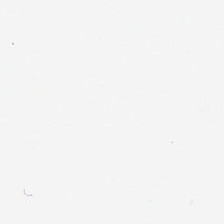224×224 px tile · hematoxylin-and-eosin stained section · formalin-fixed paraffin-embedded section. The field content is background (no tissue).
